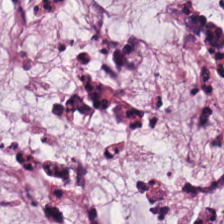H&E stain · 224×224 pixel tile.
This field is extracellular mucin.
